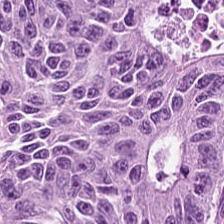H&E-stained tissue section · brightfield.
Malignant epithelium.
